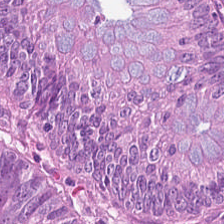H&E stain.
{"tissue_type": "malignant epithelium"}
